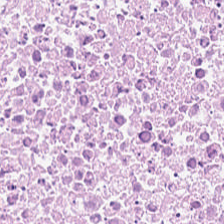H&E; WSI patch — This field is debris.
